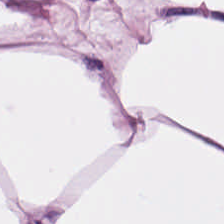224×224 px tile · hematoxylin and eosin · whole-slide-image patch — This patch shows fat tissue.
